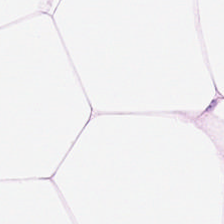20× equivalent magnification; H&E stain. Q: What tissue is shown?
A: This is adipose.
